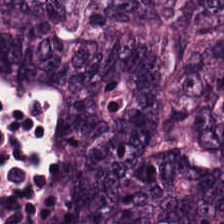H&E-stained tissue section. 224×224 px patch. 0.5 µm/px. The classification is adenocarcinoma.
